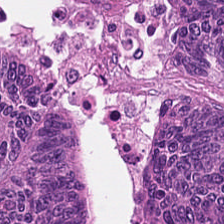This field is adenocarcinoma.
